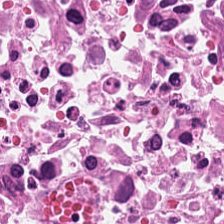224×224 pixel tile · H&E · 0.5 µm per pixel — Tissue — necrotic debris.
